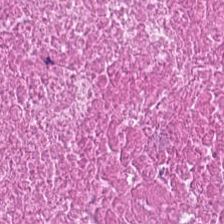H&E-stained tissue section.
{"tissue_type": "necrotic debris"}
